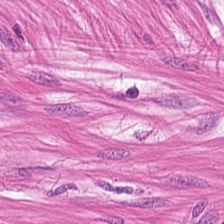0.5 µm/px; H&E.
Smooth-muscle tissue.
